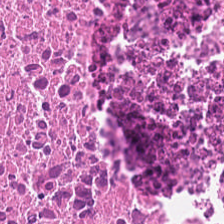Necrotic debris.
